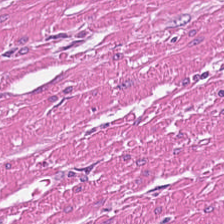0.5 µm per pixel; 224×224 pixel tile; H&E-stained tissue section. Predominantly smooth-muscle tissue.
